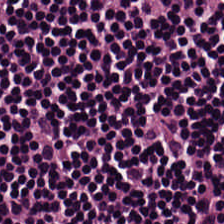H&E-stained tissue section — This patch shows lymphoid infiltrate.
